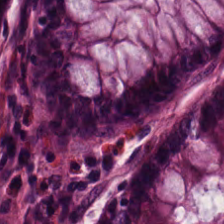The predominant tissue is normal colon mucosa.
